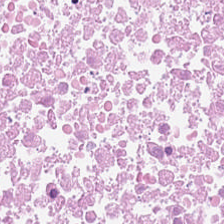Stain: hematoxylin and eosin.
Tile size: 224×224 px patch.
Acquisition: brightfield microscopy.
Classification: necrotic debris.
